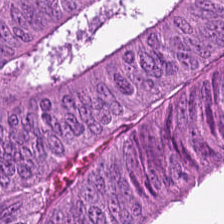FFPE · 0.5 µm/px · hematoxylin and eosin. Q: What is shown in this field?
A: It is colorectal adenocarcinoma.
